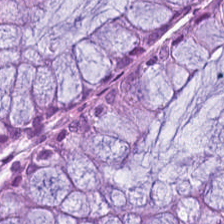Tissue: normal colonic mucosa.
